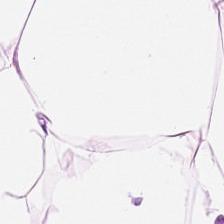H&E-stained tissue section.
This patch shows adipocytes.
